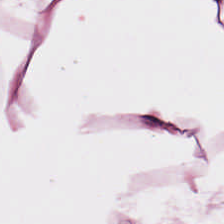Formalin-fixed paraffin-embedded section; H&E stain. The predominant tissue is adipocytes.
